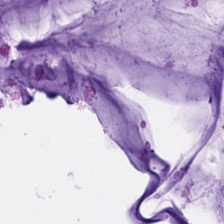Hematoxylin-and-eosin section: extracellular mucin.
